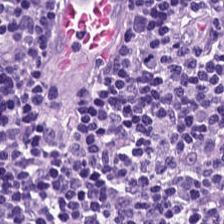H&E-stained section; the field shows lymphoid infiltrate.
